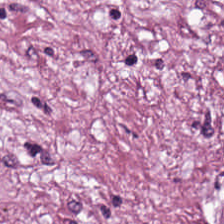Brightfield microscopy · hematoxylin-and-eosin stained section — Tissue type: desmoplastic stroma.
